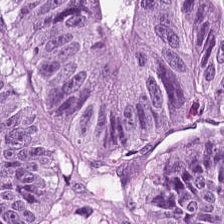{"tissue_type": "adenocarcinoma"}
